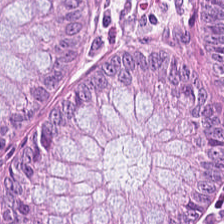224×224 px tile. H&E-stained tissue section. 0.5 microns per pixel. Impression — non-neoplastic colon mucosa.
